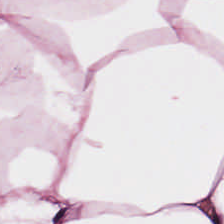H&E stain — Tissue — adipose.
